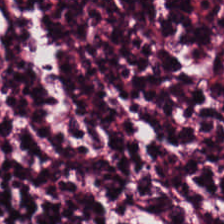Formalin-fixed paraffin-embedded section; H&E-stained tissue section. The predominant tissue is lymphoid infiltrate.
